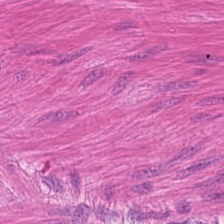Hematoxylin and eosin; 0.5 µm per pixel — Q: What type of tissue is this?
A: The field shows muscularis.
